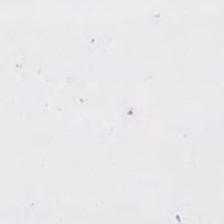Impression → empty background.
